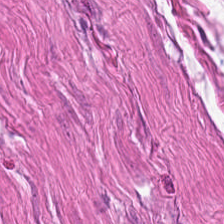H&E stain. Q: Classify this patch.
A: The field shows smooth muscle.
